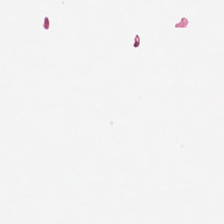Background — no tissue in this field.
